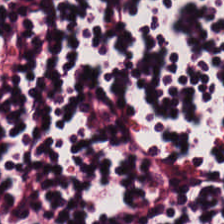FFPE. Hematoxylin and eosin. 0.5 microns per pixel. This field is lymphocyte aggregate.
